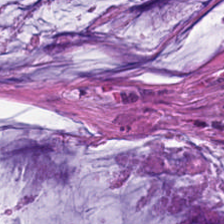Hematoxylin-and-eosin stained section.
Extracellular mucin.
